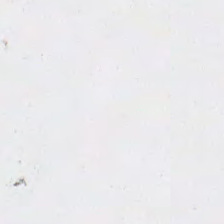Hematoxylin and eosin — Empty background.
